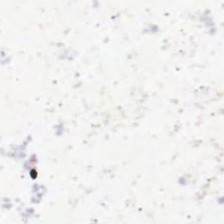FFPE tissue section; H&E stain — Histology — background.
